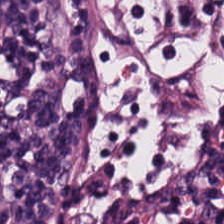Tissue class — lymphocytic infiltrate.
